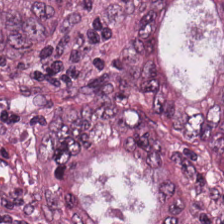Stain: hematoxylin and eosin.
Classification: colorectal adenocarcinoma.
